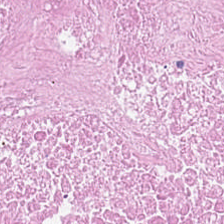Brightfield microscopy · hematoxylin and eosin.
Predominantly necrotic debris.
